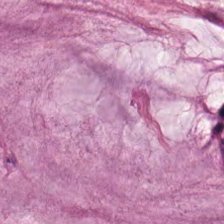Brightfield · hematoxylin-and-eosin stained section. Tissue type — mucus.
